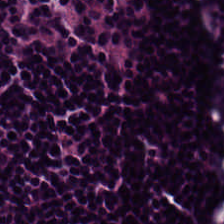FFPE tissue section; hematoxylin and eosin; 0.5 µm per pixel.
Tissue = lymphoid infiltrate.
